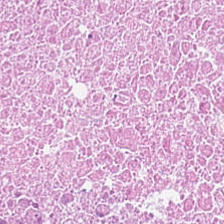Hematoxylin and eosin — Impression → cellular debris.
